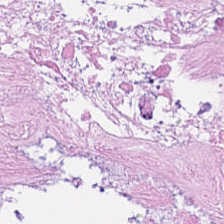H&E-stained tissue section — Q: What type of tissue is this?
A: This is cellular debris.
